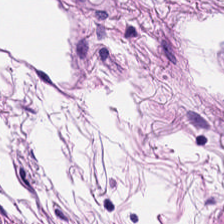H&E-stained tissue section; 0.5 µm per pixel — Classification = smooth-muscle tissue.
